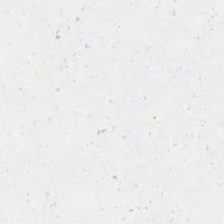This field is background (no tissue).
